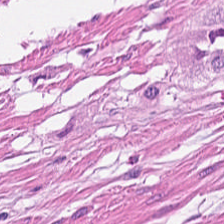Impression — smooth-muscle tissue.
